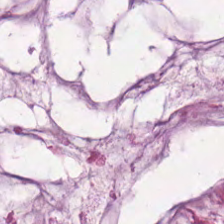H&E-stained tissue section.
Impression → extracellular mucin.
